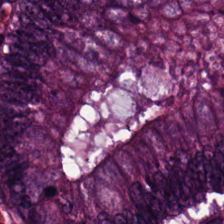224×224 px tile · hematoxylin and eosin.
The predominant tissue is adenocarcinoma.
